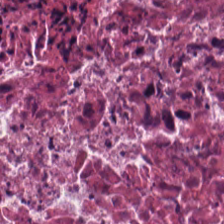Hematoxylin and eosin.
The tissue here is necrotic debris.
